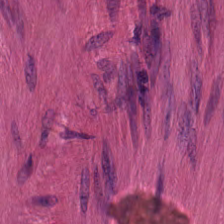H&E patch showing muscularis.
